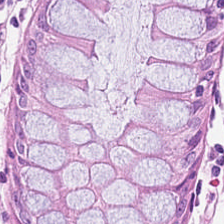Hematoxylin and eosin. Q: Classify this patch.
A: The field shows normal colon mucosa.
